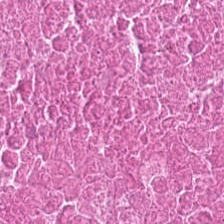H&E.
Finding → necrotic debris.
